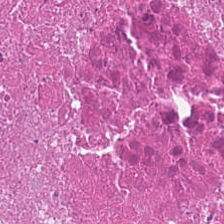Hematoxylin-and-eosin stained section.
Classification — necrotic debris.
